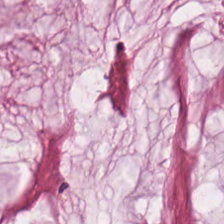Formalin-fixed paraffin-embedded section; 0.5 microns per pixel; H&E stain. Impression → mucus.
